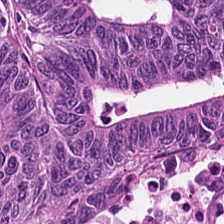Hematoxylin and eosin. 224×224 px tile. 0.5 microns per pixel — This patch shows colorectal adenocarcinoma epithelium.
